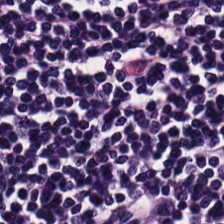H&E stain. This field is lymphocyte aggregate.
